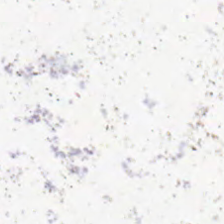Hematoxylin and eosin. Finding — background (no tissue).
